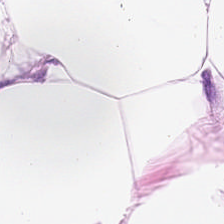Brightfield microscopy; H&E-stained tissue section; 0.5 µm/px. Adipose tissue.
